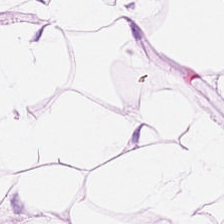Stain: hematoxylin-and-eosin stained section.
Tile size: 224×224 pixel tile.
Predominant tissue: adipocytes.
